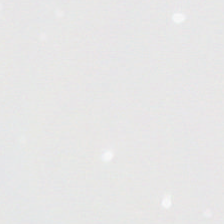Stain: hematoxylin and eosin.
Classification: no tissue.
